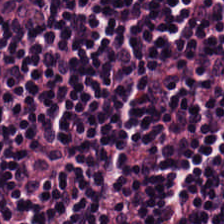Stain: H&E-stained tissue section.
Tile size: 224×224 px patch.
Tissue class: lymphoid infiltrate.
